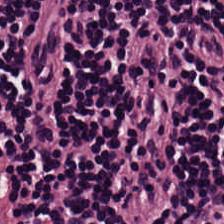Lymphocyte aggregate.
